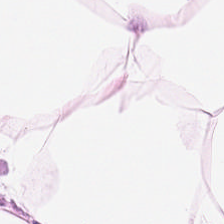H&E stain. Impression — adipocytes.
